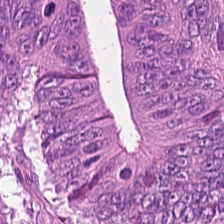H&E-stained tissue section.
This field is colorectal adenocarcinoma.
